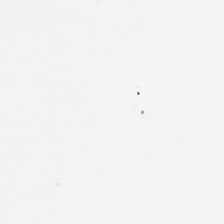H&E stain · 224×224 px tile. The classification is no tissue.
